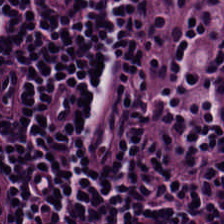H&E-stained tissue section — Q: Classify this patch.
A: Lymphocyte aggregate.
